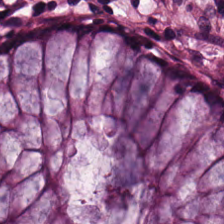This patch shows normal colon mucosa.
